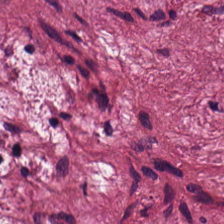Stain: H&E.
Tile size: 224×224 px patch.
Preparation: FFPE tissue section.
Tissue type: cancer-associated stroma.
